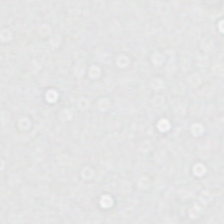No tissue present; background only.
